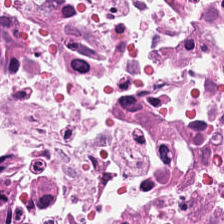Whole-slide-image patch; H&E — Predominant tissue: debris.
